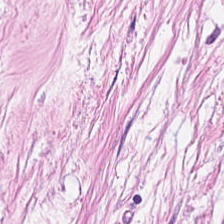The predominant tissue is tumor stroma.
